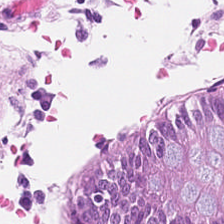Normal colonic mucosa.
